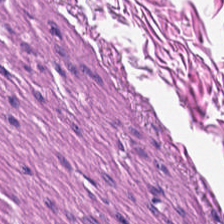0.5 µm/px; hematoxylin and eosin — Q: What tissue is shown?
A: Smooth-muscle tissue.
